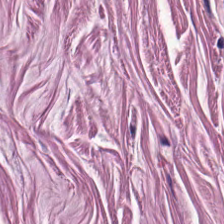Hematoxylin-and-eosin stained section · 224×224 px tile.
This field is smooth-muscle tissue.
